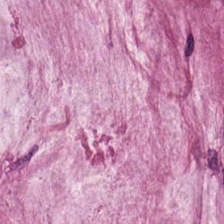H&E. 224×224 px tile.
Finding → extracellular mucin.
